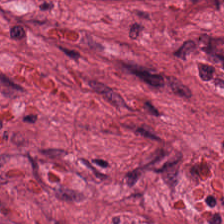0.5 microns per pixel; hematoxylin-and-eosin stained section — Impression → cancer-associated stroma.
